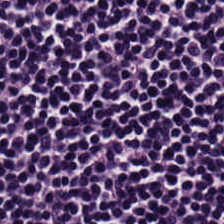{"tissue_type": "lymphoid infiltrate"}
